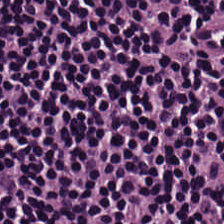Hematoxylin and eosin.
Q: What tissue is shown?
A: The field shows lymphocyte aggregate.
